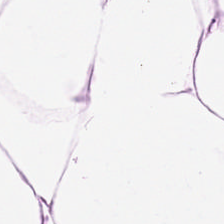Hematoxylin-and-eosin stained section. This field is adipose.
